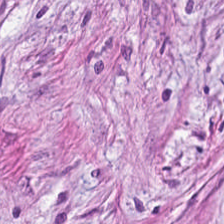H&E stain — Impression — tumor stroma.
